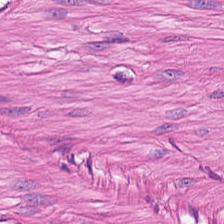Tissue class: smooth-muscle tissue.
